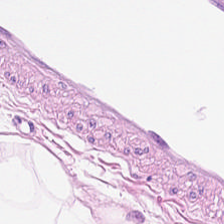H&E-stained tissue section · 0.5 µm per pixel — The tissue type is adipose tissue.
